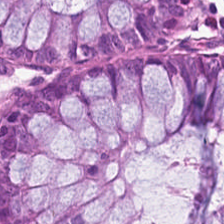Hematoxylin and eosin. FFPE tissue section.
Classification = normal colon mucosa.
